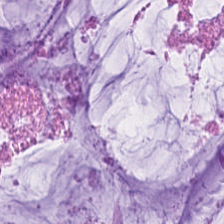Hematoxylin-and-eosin stained section; FFPE tissue section — Q: What is the predominant tissue type?
A: The field shows extracellular mucin.
